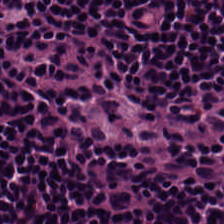Hematoxylin-and-eosin stained section. The tissue here is lymphocyte aggregate.
